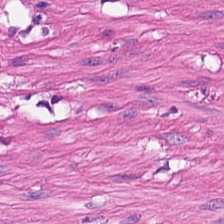0.5 µm per pixel · H&E-stained tissue section.
Predominant tissue — smooth muscle.
